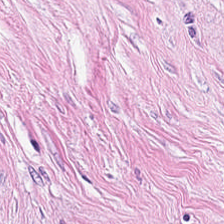H&E-stained tissue section; 0.5 µm per pixel.
Q: What type of tissue is this?
A: Tumor stroma.
